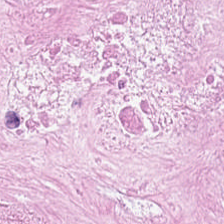Hematoxylin and eosin. This field is necrotic debris.
